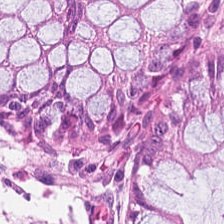Hematoxylin-and-eosin stained section · formalin-fixed paraffin-embedded section. Predominantly normal colon mucosa.
